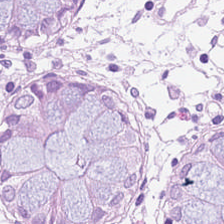H&E-stained tissue section; 224×224 px tile. Predominant tissue — normal colon mucosa.
